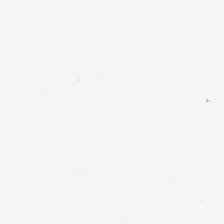H&E stain — Empty field — empty background.
